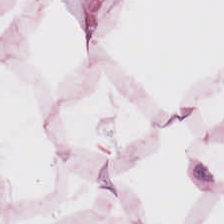224×224 px tile; H&E-stained tissue section. Fat tissue.
